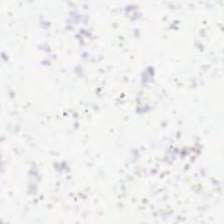Hematoxylin-and-eosin stained section — Field content: background.
